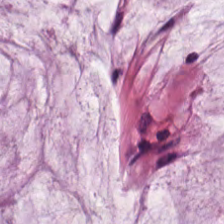Predominant tissue — extracellular mucin.
